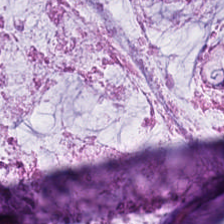H&E-stained tissue section. This patch shows mucin.
